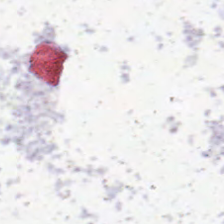Hematoxylin and eosin. Impression — background (no tissue).
